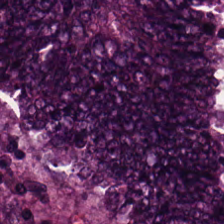Hematoxylin and eosin — The tissue here is malignant epithelium.
